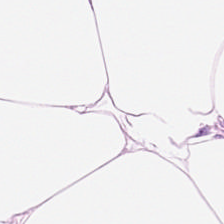Stain: hematoxylin and eosin.
Resolution: 0.5 microns per pixel.
Tile size: 224×224 px tile.
Predominant tissue: adipose.
